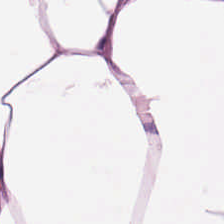Stain: H&E.
Preparation: FFPE.
Tissue type: adipose tissue.
